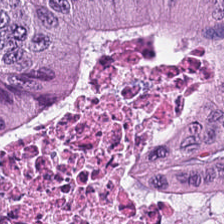{"tissue_type": "tumor epithelium"}
